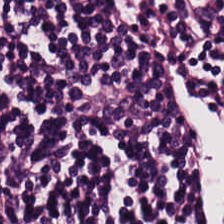Stain: H&E-stained tissue section.
Predominant tissue: lymphocytes.
